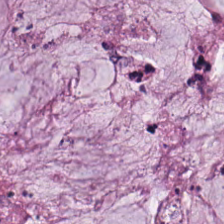Predominant tissue — extracellular mucin.
